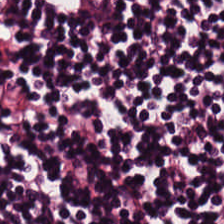Hematoxylin-and-eosin stained section — Q: What type of tissue is this?
A: Lymphocytes.
